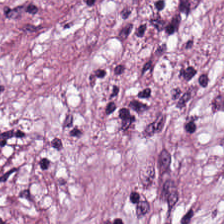Brightfield. H&E stain. 0.5 µm per pixel — Showing desmoplastic stroma.
